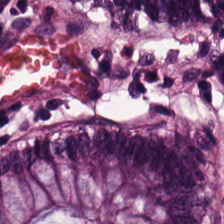Brightfield · hematoxylin-and-eosin stained section · 0.5 µm/px.
Predominant tissue: normal colon mucosa.
